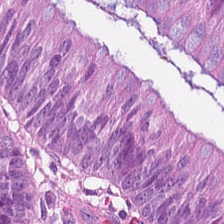Hematoxylin and eosin. Q: What does this patch show?
A: This is malignant epithelium.
